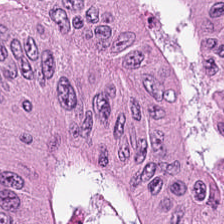Hematoxylin-and-eosin stained section. 224×224 px patch — Finding — malignant epithelium.
